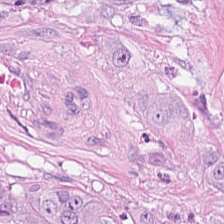WSI patch. Hematoxylin-and-eosin stained section. 0.5 µm/px.
This patch shows tumor epithelium.
